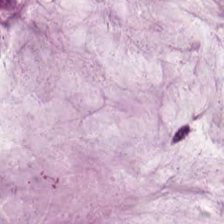H&E.
Tissue class: extracellular mucin.
